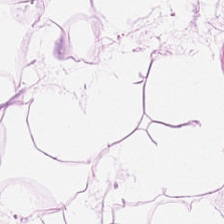0.5 µm/px · 224×224 pixel tile · H&E — The predominant tissue is adipocytes.
